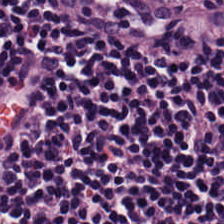0.5 microns per pixel · H&E.
Q: What is shown here?
A: This is lymphocytic infiltrate.
